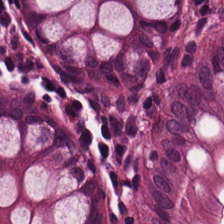H&E stain.
The tissue here is normal colonic mucosa.
